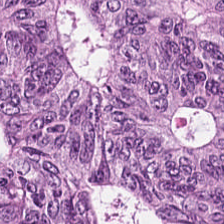H&E-stained tissue section.
Tissue = tumor epithelium.
